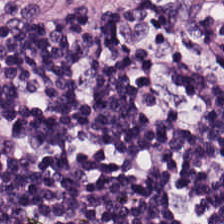H&E stain; brightfield — Impression — lymphoid infiltrate.
